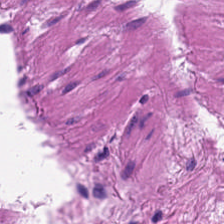Hematoxylin and eosin. Predominantly muscularis.
